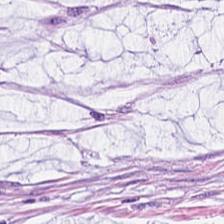H&E-stained tissue section. Whole-slide-image patch — Q: What is the predominant tissue type?
A: Mucin.
